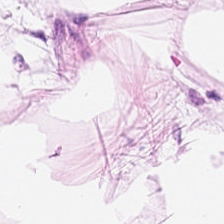Hematoxylin-and-eosin stained section. WSI patch — Classification = adipose tissue.
